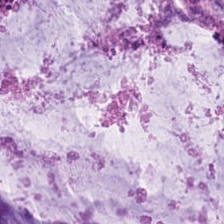Hematoxylin-and-eosin stained section — Mucus.
